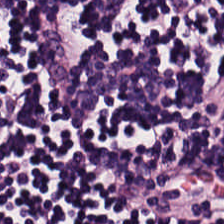Stain: H&E stain.
Classification: lymphocytes.
